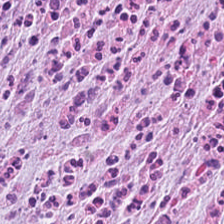Predominantly tumor stroma.
